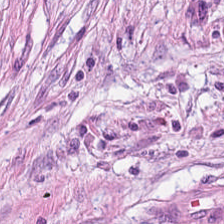Desmoplastic stroma.
